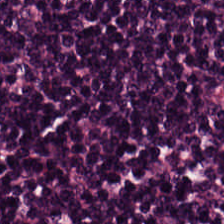H&E stain. {"tissue_type": "lymphocytic infiltrate"}
